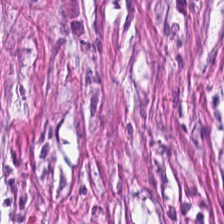224×224 px tile · hematoxylin and eosin.
This field is tumor stroma.
